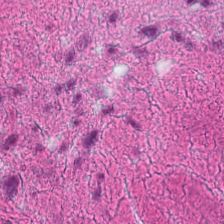H&E.
The tissue here is debris.
